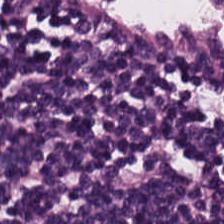Hematoxylin and eosin — {"tissue_type": "lymphoid infiltrate"}
